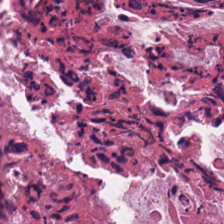The tissue type is debris.
